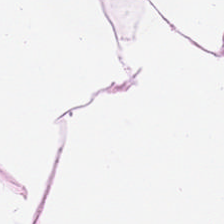H&E-stained tissue section. Finding — adipose tissue.
